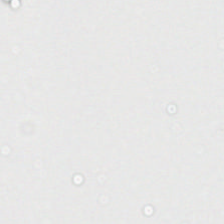Whole-slide-image patch. Hematoxylin and eosin. {"content": "empty background"}
